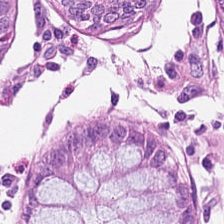H&E stain — Tissue class — normal colonic mucosa.
